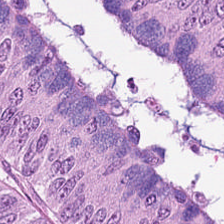Stain: H&E-stained tissue section.
Tissue type: malignant epithelium.
